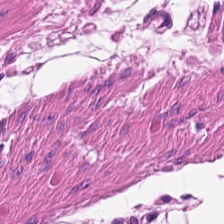H&E-stained tissue section.
Q: What is shown in this field?
A: It is muscularis.
